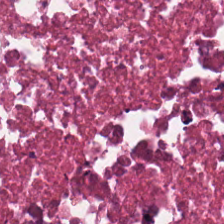The predominant tissue is necrotic debris.
